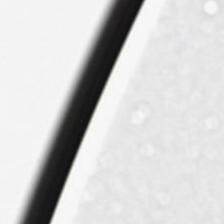H&E — Field content — background (no tissue).
